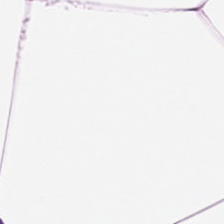20× equivalent magnification. FFPE tissue section. H&E. Fat tissue.
